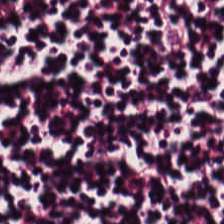H&E-stained tissue section — Tissue = lymphocytic infiltrate.
